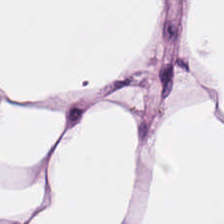H&E stain · 224×224 pixel tile · 0.5 µm per pixel.
{"tissue_type": "adipose"}
